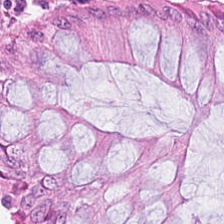Finding — normal colon mucosa.
